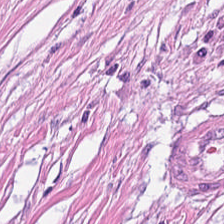Q: What is shown here?
A: Tumor-associated stroma.
